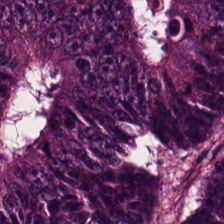Stain: H&E.
Tile size: 224×224 pixel tile.
Predominant tissue: adenocarcinoma.
